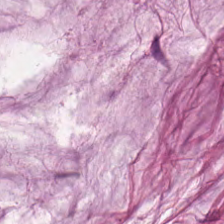Mucin.
